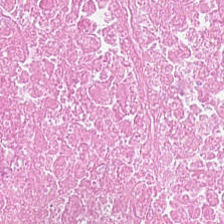H&E. This field is debris.
